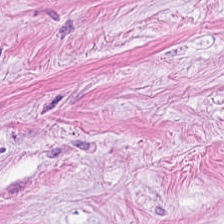Stain: H&E-stained tissue section.
Predominant tissue: tumor-associated stroma.
